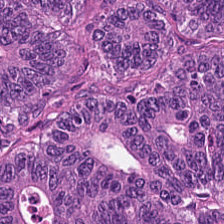224×224 pixel tile · hematoxylin and eosin · whole-slide-image patch.
The predominant tissue is adenocarcinoma.
